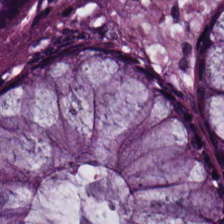FFPE · H&E. The tissue type is normal colon mucosa.
